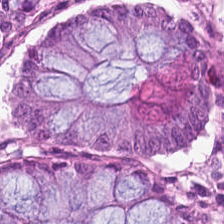The classification is normal colonic mucosa.
